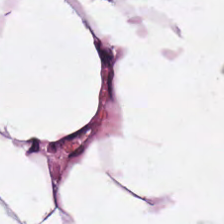This field is adipocytes.
